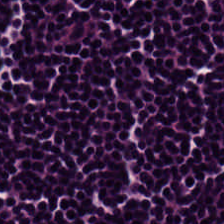FFPE. H&E stain. The predominant tissue is lymphocytic infiltrate.
